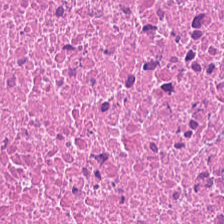H&E-stained tissue section showing cellular debris.
